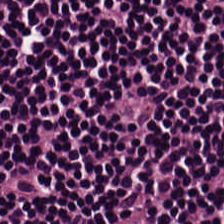Hematoxylin and eosin — Q: What is the predominant tissue type?
A: Lymphocytic infiltrate.
